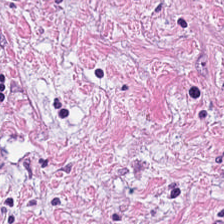H&E. Q: Identify the tissue.
A: This is tumor stroma.
